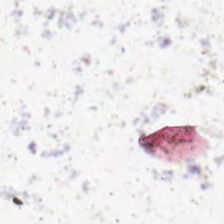Stain: H&E.
Classification: empty background.
